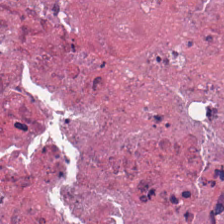Hematoxylin-and-eosin stained section.
Q: What tissue is shown?
A: This is cellular debris.
